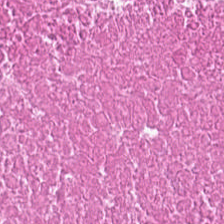Hematoxylin and eosin.
{"tissue_type": "cellular debris"}
